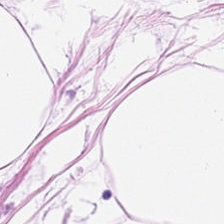224×224 px tile. Brightfield. H&E-stained tissue section. {"tissue_type": "fat tissue"}
